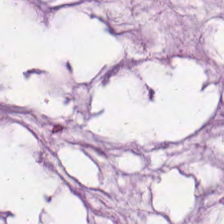0.5 µm/px · hematoxylin and eosin · 224×224 px patch. The tissue here is extracellular mucin.
